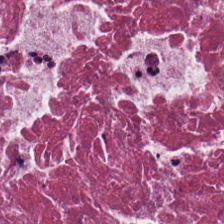H&E-stained tissue section — The predominant tissue is necrotic debris.
